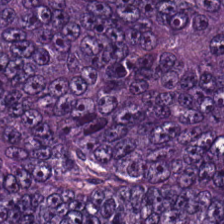H&E.
Showing adenocarcinoma.
